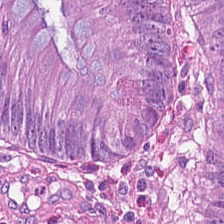H&E — Showing tumor epithelium.
